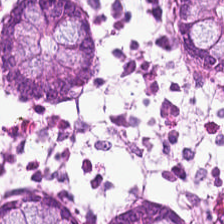H&E stain · FFPE — The predominant tissue is normal colon mucosa.
